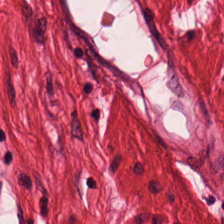H&E-stained tissue section.
This field is smooth-muscle tissue.
